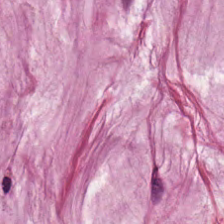0.5 µm/px. Hematoxylin-and-eosin stained section. Formalin-fixed paraffin-embedded section — Impression — extracellular mucin.
